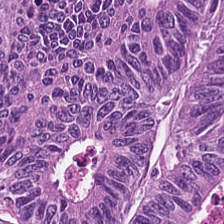224×224 px tile · whole-slide-image patch · hematoxylin and eosin — This patch shows colorectal adenocarcinoma.
